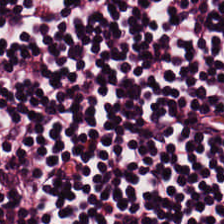H&E-stained tissue section. WSI patch. 0.5 µm per pixel.
Tissue class = lymphoid infiltrate.
